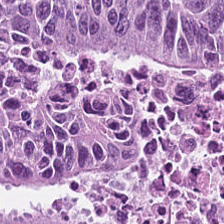H&E stain · whole-slide-image patch · 0.5 µm per pixel.
Showing adenocarcinoma.
